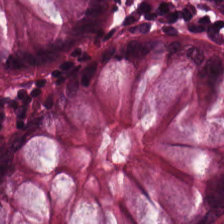Hematoxylin-and-eosin section: normal colonic mucosa.
